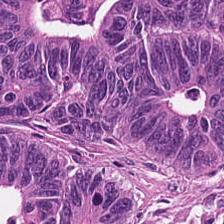The tissue type is colorectal adenocarcinoma epithelium.
